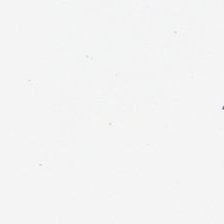H&E. Field content = no tissue.
